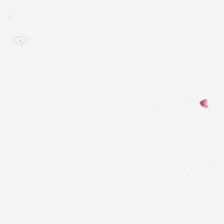224×224 px tile. H&E. Formalin-fixed paraffin-embedded section. Classification = empty background.
